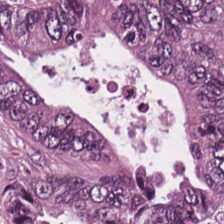0.5 µm/px; H&E.
Predominant tissue = colorectal adenocarcinoma epithelium.
